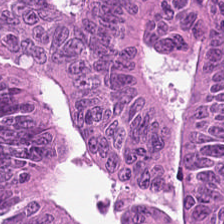H&E-stained tissue section · formalin-fixed paraffin-embedded section. Showing malignant epithelium.
